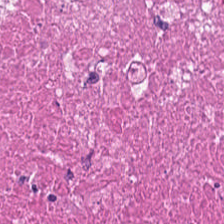Impression — necrotic debris.
